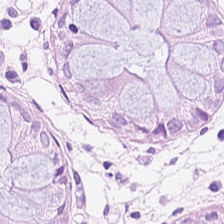Tissue type: normal colonic mucosa.
